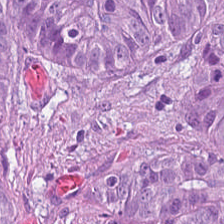Hematoxylin and eosin — Impression — colorectal adenocarcinoma.
